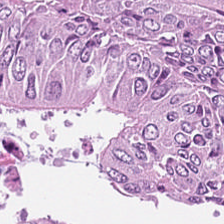H&E patch showing colorectal adenocarcinoma.
